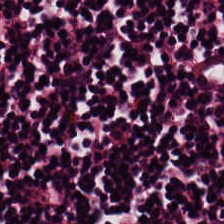Hematoxylin and eosin. 0.5 µm/px — Predominant tissue = lymphocyte aggregate.
